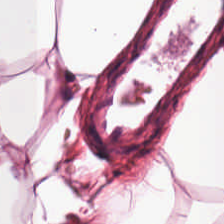Formalin-fixed paraffin-embedded section · H&E stain.
This field is adipocytes.
